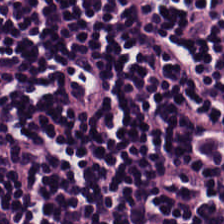H&E stain.
Q: What tissue type is shown here?
A: The field shows lymphocytes.
